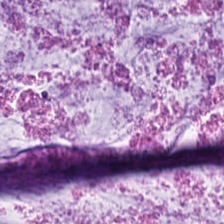Tissue = extracellular mucin.
